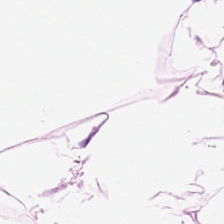0.5 µm per pixel; 224×224 pixel tile; hematoxylin-and-eosin stained section — Showing adipose tissue.
